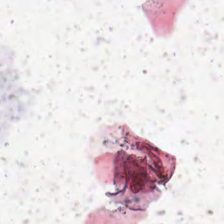Hematoxylin and eosin; 224×224 px patch.
Q: What is shown here?
A: This is empty background.
